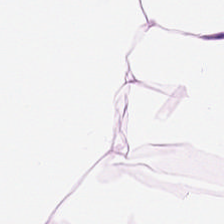H&E-stained tissue section.
This field is adipocytes.
